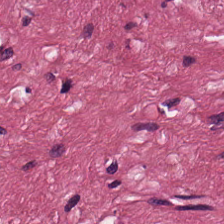Stain: H&E.
Predominant tissue: tumor stroma.
